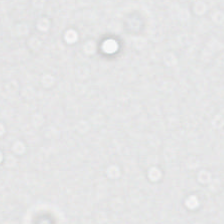Stain: hematoxylin and eosin.
Acquisition: brightfield.
Resolution: 0.5 µm/px.
Field content: empty background.
